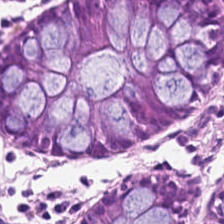{"tissue_type": "normal colon mucosa"}
